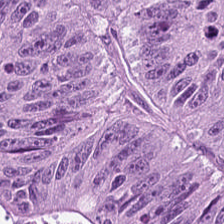Hematoxylin-and-eosin stained section; 0.5 µm per pixel — The tissue here is malignant epithelium.
